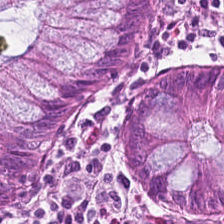Hematoxylin-and-eosin stained section. Tissue type = benign colonic mucosa.
